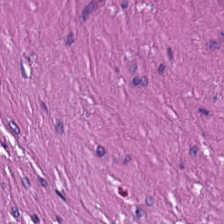H&E — This field is smooth-muscle tissue.
